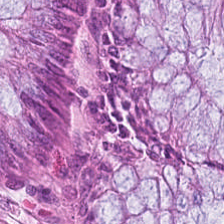Brightfield · hematoxylin-and-eosin stained section. The tissue here is benign colonic mucosa.
